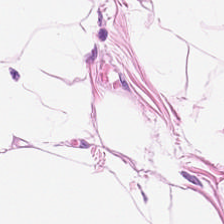H&E — adipose.
